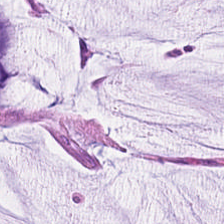Hematoxylin-and-eosin stained section — Finding — mucus.
